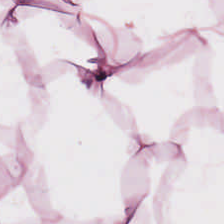This patch shows adipose tissue.
